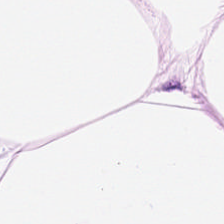FFPE. 224×224 pixel tile. H&E stain. {"tissue_type": "adipocytes"}
